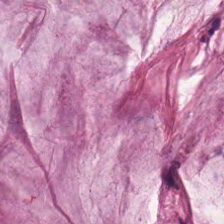WSI patch · H&E-stained tissue section · 224×224 px patch. Showing mucus.
